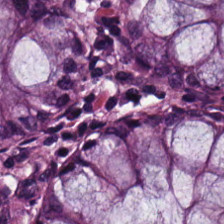Hematoxylin-and-eosin stained section. Histology → non-neoplastic colon mucosa.
